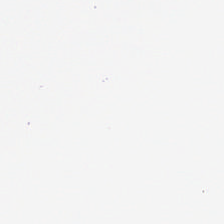Stain: H&E.
Resolution: 0.5 µm/px.
Classification: background (no tissue).
